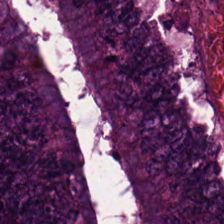Stain: hematoxylin-and-eosin stained section.
Preparation: formalin-fixed paraffin-embedded section.
Tissue: tumor epithelium.
